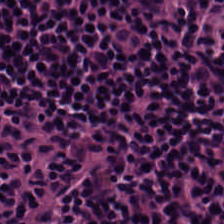Hematoxylin and eosin.
This patch shows lymphocyte aggregate.
